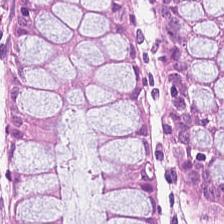Whole-slide-image patch; 224×224 px tile; hematoxylin and eosin. Showing non-neoplastic colon mucosa.
